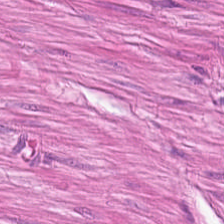Stain: hematoxylin and eosin.
Classification: smooth muscle.
